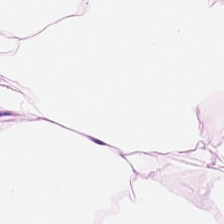Whole-slide-image patch. H&E-stained tissue section. 224×224 pixel tile. The tissue is fat tissue.
